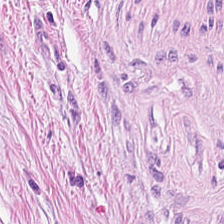This patch shows tumor-associated stroma.
